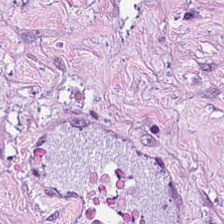Stain: hematoxylin-and-eosin stained section.
Preparation: FFPE tissue section.
Tissue type: desmoplastic stroma.
